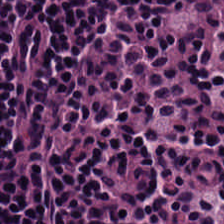{"tissue_type": "lymphocytes"}
